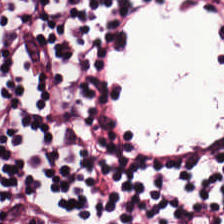Hematoxylin-and-eosin stained section; formalin-fixed paraffin-embedded section. This patch shows lymphoid infiltrate.
